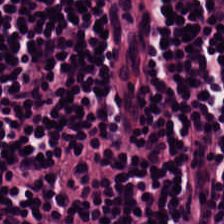Hematoxylin-and-eosin stained section.
Lymphoid infiltrate.
